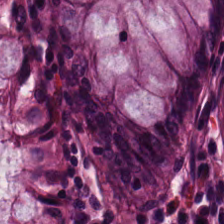H&E-stained tissue section. 0.5 µm per pixel. {"tissue_type": "benign colonic mucosa"}
